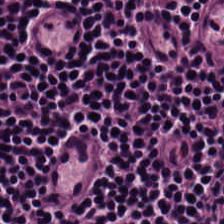Hematoxylin and eosin. {"tissue_type": "lymphoid infiltrate"}
